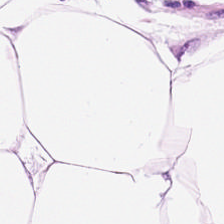H&E stain.
Showing adipose tissue.
